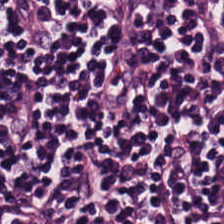H&E-stained tissue section — This field is lymphocytes.
